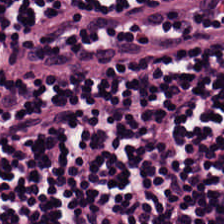The tissue class is lymphocyte aggregate.
